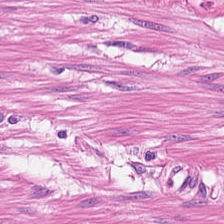Stain: H&E-stained tissue section.
Resolution: 0.5 µm/px.
Acquisition: brightfield microscopy.
Tissue class: smooth muscle.
